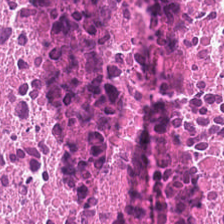H&E-stained tissue section · formalin-fixed paraffin-embedded section — Finding → necrotic debris.
